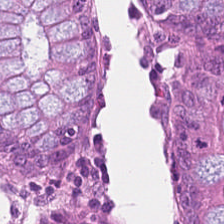0.5 µm per pixel; hematoxylin and eosin.
The classification is normal colonic mucosa.
